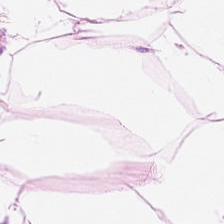Brightfield microscopy. H&E-stained tissue section. This field is fat tissue.
